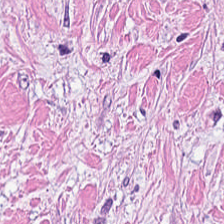Formalin-fixed paraffin-embedded section · H&E stain · 0.5 µm per pixel — Q: What is shown here?
A: It is desmoplastic stroma.
